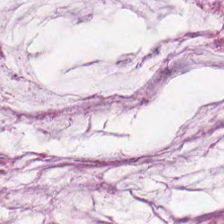H&E-stained tissue section. This field is mucin.
